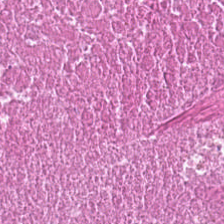0.5 microns per pixel. H&E stain. 224×224 pixel tile. Q: What does this patch show?
A: The field shows cellular debris.
